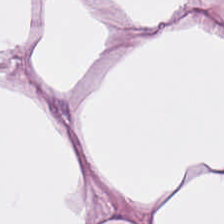The tissue here is adipose.
